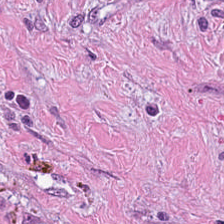Hematoxylin and eosin; 0.5 µm/px; brightfield. The predominant tissue is tumor stroma.
